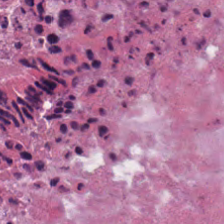H&E-stained tissue section. 0.5 µm per pixel.
Tissue type: debris.
